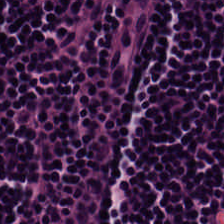H&E-stained tissue section.
Tissue — lymphocytic infiltrate.
